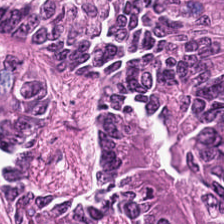H&E patch showing tumor epithelium.
